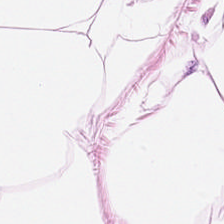H&E-stained tissue section.
Q: Classify this patch.
A: Adipose.
